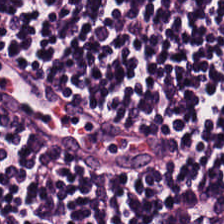H&E stain.
Classification — lymphocyte aggregate.
